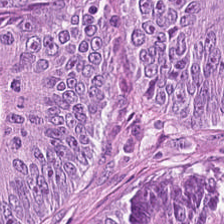Hematoxylin-and-eosin stained section — Finding → tumor epithelium.
